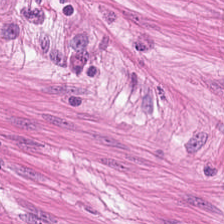H&E stain. 0.5 µm per pixel. Impression → smooth muscle.
